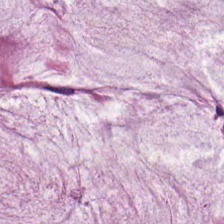Hematoxylin-and-eosin stained section — The predominant tissue is mucin.
